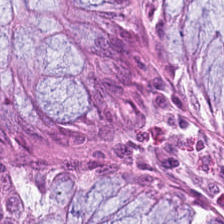H&E stain · brightfield microscopy.
Finding — normal colon mucosa.
